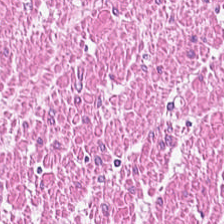H&E; 224×224 px tile. Classification — smooth muscle.
